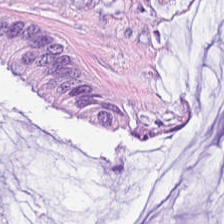Hematoxylin and eosin. Q: Classify this patch.
A: The field shows extracellular mucin.
